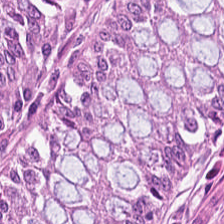Stain: hematoxylin-and-eosin stained section.
Tissue class: benign colonic mucosa.
